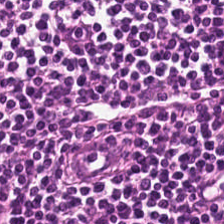Whole-slide-image patch; 224×224 px patch; hematoxylin and eosin. The predominant tissue is lymphocyte aggregate.
